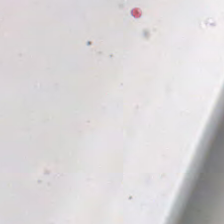H&E-stained tissue section — {"content": "empty background"}
